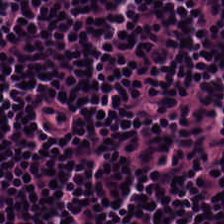224×224 px tile. H&E-stained tissue section.
Q: Identify the tissue.
A: It is lymphocyte aggregate.
